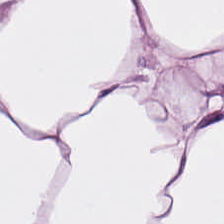H&E.
Q: What is the predominant tissue type?
A: This is adipose.
